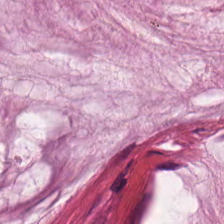Hematoxylin and eosin · FFPE — Q: What is shown here?
A: The field shows mucus.
